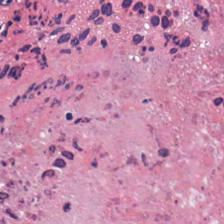WSI patch. Hematoxylin-and-eosin stained section. 0.5 µm/px.
The classification is necrotic debris.
